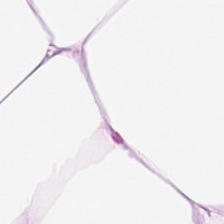Brightfield · 0.5 µm/px · H&E. Q: What is shown in this field?
A: Adipose tissue.
